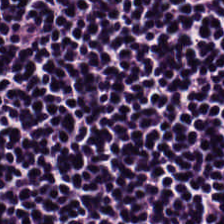Tissue: lymphocytic infiltrate.
